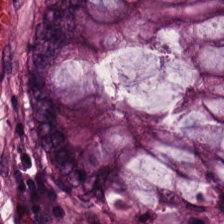Impression → benign colonic mucosa.
